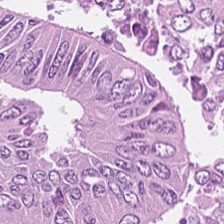0.5 µm/px; H&E. The predominant tissue is malignant epithelium.
